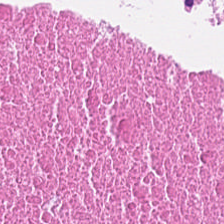Stain: hematoxylin and eosin.
Acquisition: brightfield microscopy.
Tissue: necrotic debris.
